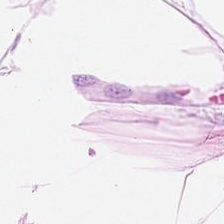Stain: H&E stain.
Classification: adipose.
